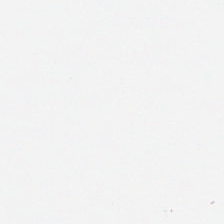FFPE tissue section. 0.5 µm per pixel. H&E.
Empty field — background (no tissue).
